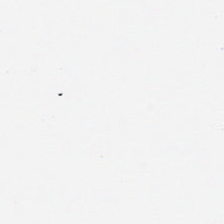224×224 px patch · 0.5 µm/px · H&E stain. Q: What is shown in this field?
A: It is no tissue.
